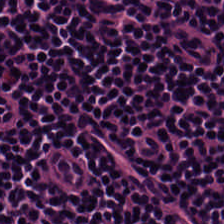Stain: hematoxylin-and-eosin stained section.
Tissue: lymphocytic infiltrate.
